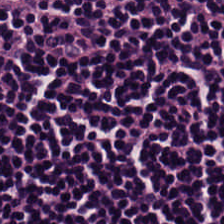H&E stain. The classification is lymphocytes.
